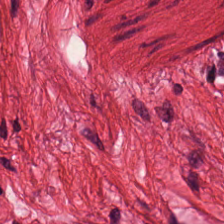Hematoxylin-and-eosin stained section. This patch shows smooth-muscle tissue.
